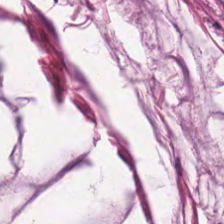H&E-stained section; the field shows extracellular mucin.
